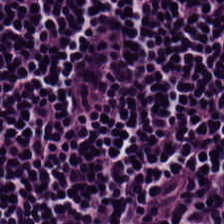WSI patch; H&E stain — Showing lymphocyte aggregate.
